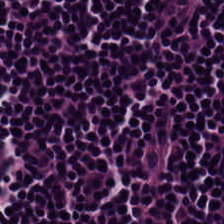Hematoxylin and eosin — Predominantly lymphocyte aggregate.
